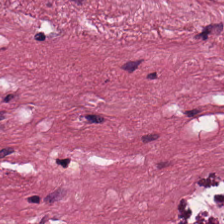H&E. FFPE tissue section. 224×224 px patch. Q: What does this patch show?
A: The field shows cancer-associated stroma.
